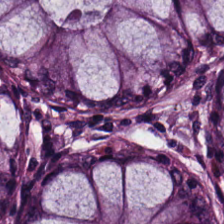Stain: H&E-stained tissue section.
Preparation: formalin-fixed paraffin-embedded section.
Acquisition: brightfield.
Tissue: benign colonic mucosa.
